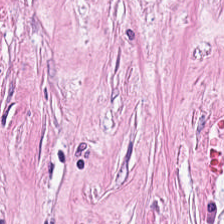Histology → tumor-associated stroma.
